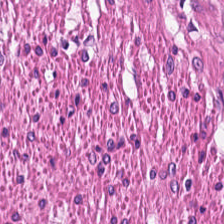Smooth-muscle tissue.
